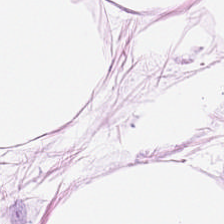H&E-stained tissue section showing adipocytes.
